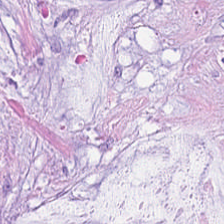The predominant tissue is mucus.
